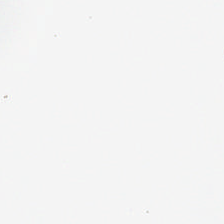H&E.
This patch shows background.
